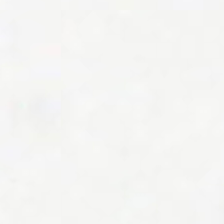Hematoxylin and eosin. {"content": "no tissue"}
